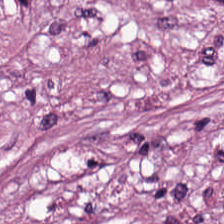H&E stain.
Tissue class = tumor stroma.
